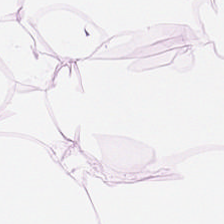Predominant tissue = adipose tissue.
